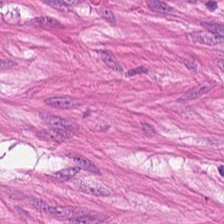Hematoxylin-and-eosin stained section. 20× equivalent magnification.
Tissue — muscularis.
